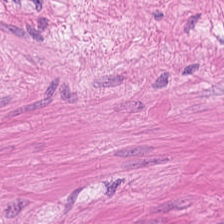H&E stain.
Q: What is the predominant tissue type?
A: The field shows smooth muscle.
